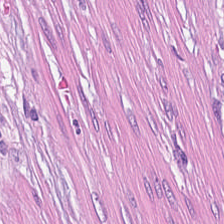Hematoxylin and eosin. 20× equivalent magnification. The tissue here is cancer-associated stroma.
